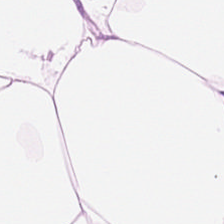WSI patch. H&E stain — Tissue type — fat tissue.
